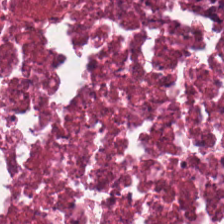Classification: necrotic debris.
